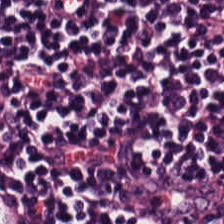H&E-stained tissue section. Classification: lymphocytic infiltrate.
